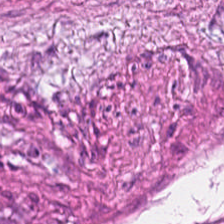224×224 pixel tile; H&E stain.
Q: What is shown here?
A: The field shows tumor stroma.
